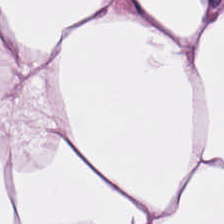Hematoxylin and eosin. FFPE tissue section.
Q: Classify this patch.
A: This is adipose.
